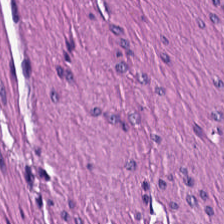H&E.
Smooth muscle.
